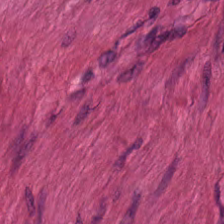Hematoxylin-and-eosin stained section — Predominantly smooth muscle.
